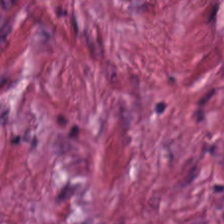Stain: hematoxylin and eosin.
Classification: tumor-associated stroma.
